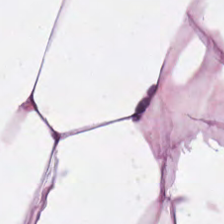Brightfield microscopy · H&E.
This field is adipose tissue.
